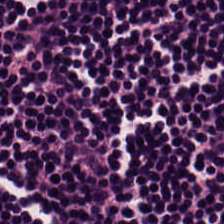Hematoxylin and eosin. FFPE — Classification — lymphocytes.
